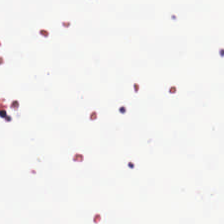H&E stain. Content: background (no tissue).
